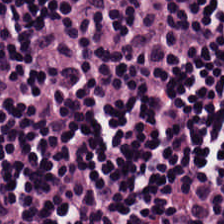H&E stain. Q: What type of tissue is this?
A: The field shows lymphoid infiltrate.
